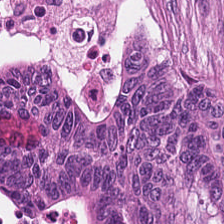Stain: H&E-stained tissue section.
Acquisition: brightfield.
Predominant tissue: tumor epithelium.
